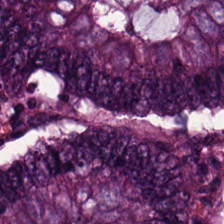Tissue type = adenocarcinoma.
